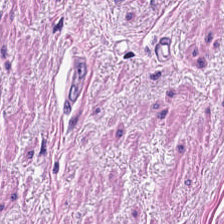The classification is muscularis.
